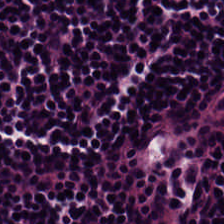H&E-stained tissue section — This patch shows lymphocyte aggregate.
